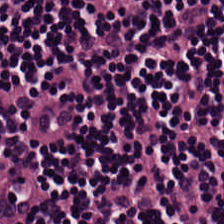FFPE tissue section; 20× equivalent magnification; H&E stain — Classification — lymphocyte aggregate.
